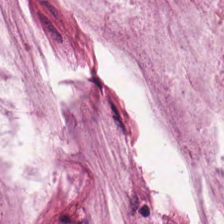Classification — mucin.
